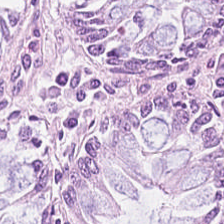The predominant tissue is normal colon mucosa.
